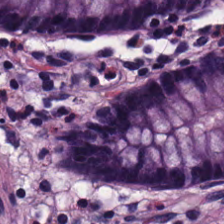Hematoxylin-and-eosin stained section.
Q: What tissue is shown?
A: The field shows non-neoplastic colon mucosa.
